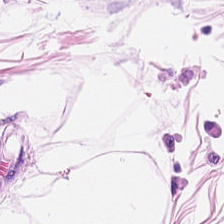Classification = fat tissue.
